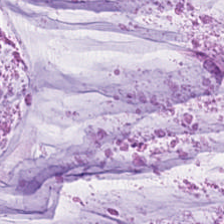Hematoxylin and eosin.
Predominantly mucin.
